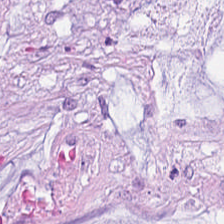Hematoxylin-and-eosin stained section · 224×224 pixel tile · FFPE tissue section. Q: What is shown in this field?
A: It is extracellular mucin.
